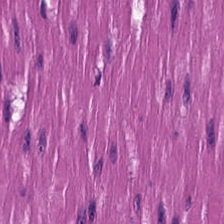224×224 px patch · formalin-fixed paraffin-embedded section · H&E stain. The tissue here is smooth muscle.
